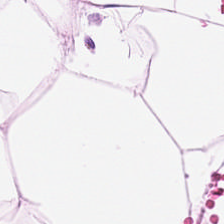Stain: H&E stain.
Tissue: adipocytes.
